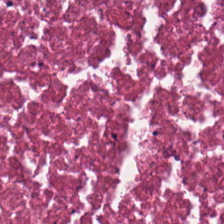H&E-stained tissue section — Histology → cellular debris.
